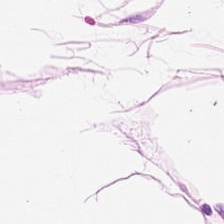This field is adipocytes.
